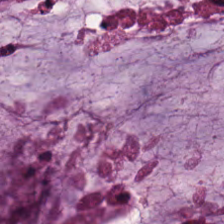Predominantly extracellular mucin.
